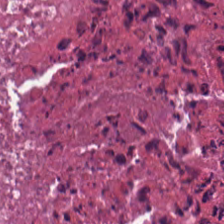Tissue — cellular debris.
